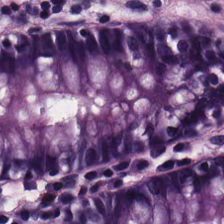Hematoxylin and eosin — Q: What does this patch show?
A: It is normal colonic mucosa.
